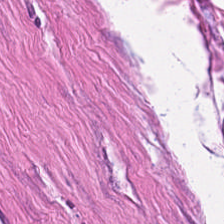Tissue class — muscularis.
